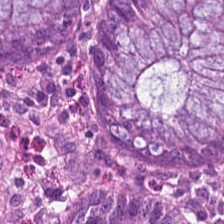H&E — Classification — normal colonic mucosa.
